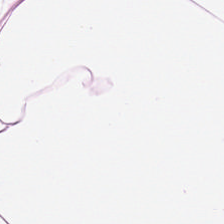{"tissue_type": "adipose tissue"}
